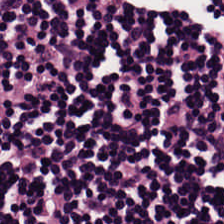0.5 µm per pixel; FFPE tissue section; H&E — Tissue class — lymphocytes.
